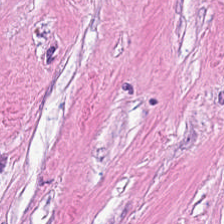Stain: H&E stain.
Tissue class: cancer-associated stroma.
